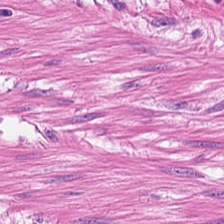Predominant tissue — muscularis.
